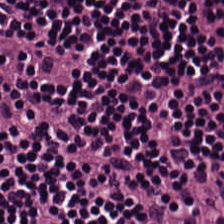H&E stain; brightfield microscopy — The predominant tissue is lymphocytes.
